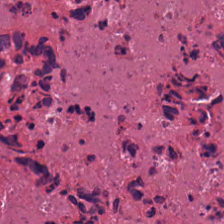FFPE tissue section. H&E. 0.5 µm/px.
{"tissue_type": "cellular debris"}
